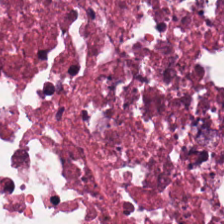The predominant tissue is debris.
